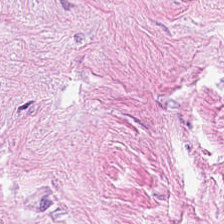H&E-stained tissue section. Classification: desmoplastic stroma.
